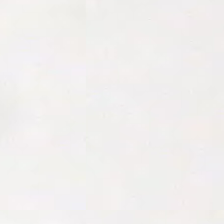FFPE. Hematoxylin-and-eosin stained section — No tissue present; background only.
